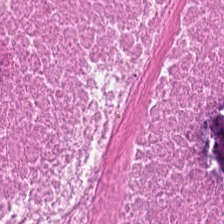Formalin-fixed paraffin-embedded section; H&E-stained tissue section.
Finding — debris.
